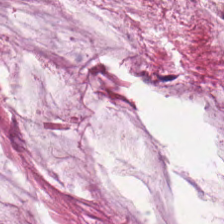Mucin.
